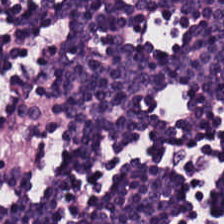Formalin-fixed paraffin-embedded section. H&E — This patch shows lymphocyte aggregate.
